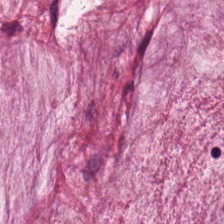Hematoxylin-and-eosin stained section; brightfield.
Histology — extracellular mucin.
